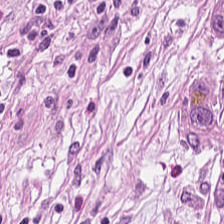224×224 px patch. Hematoxylin and eosin — This patch shows cancer-associated stroma.
